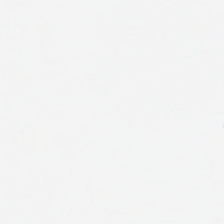H&E stain — Histology — empty background.
